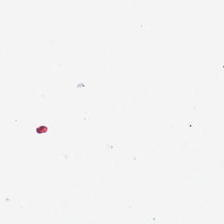This patch shows empty background.
